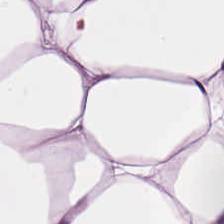The classification is adipose.
